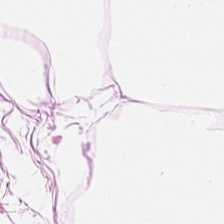Brightfield; H&E-stained tissue section. Q: What type of tissue is this?
A: It is fat tissue.
